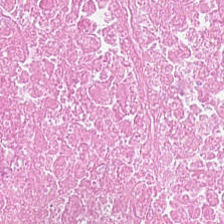Q: Classify this patch.
A: Necrotic debris.
